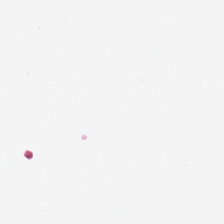H&E-stained tissue section; 224×224 px patch — This patch shows no tissue.
